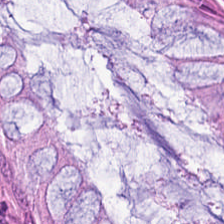H&E. 0.5 µm per pixel. Classification = normal colonic mucosa.
